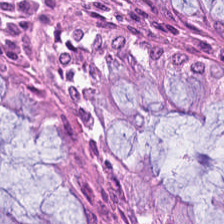Brightfield microscopy · H&E. Predominantly non-neoplastic colon mucosa.
